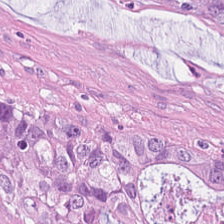FFPE · 224×224 px patch · H&E-stained tissue section.
Showing malignant epithelium.
